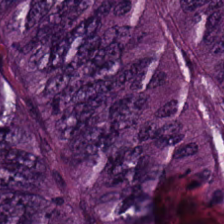Stain: H&E.
Classification: malignant epithelium.
